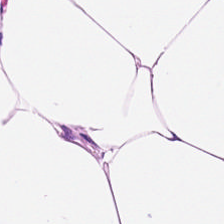H&E patch showing adipose.
